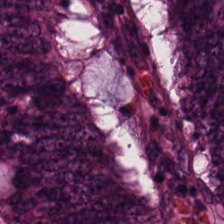Hematoxylin-and-eosin stained section. This field is colorectal adenocarcinoma epithelium.
